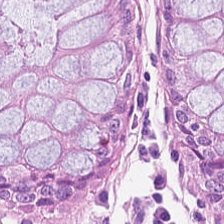H&E stain. Tissue — normal colon mucosa.
